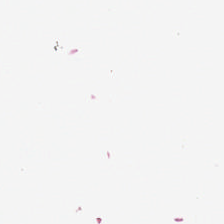Empty field — background (no tissue).
